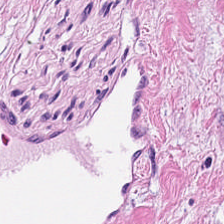Stain: H&E stain.
Tile size: 224×224 pixel tile.
Resolution: 0.5 µm/px.
Predominant tissue: desmoplastic stroma.
